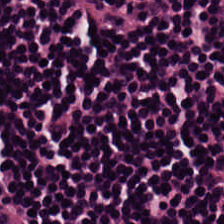H&E-stained tissue section — Predominantly lymphoid infiltrate.
